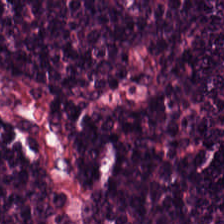H&E.
Q: What tissue type is shown here?
A: Lymphoid infiltrate.
